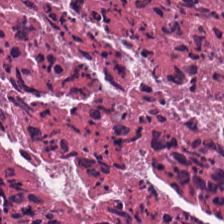FFPE tissue section; hematoxylin-and-eosin stained section. The tissue here is debris.
